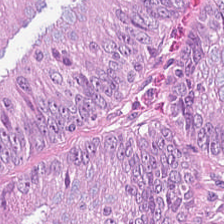Tissue class = adenocarcinoma.
